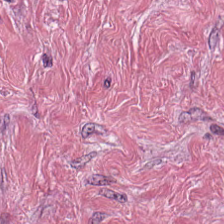Brightfield. H&E stain.
Predominantly cancer-associated stroma.
